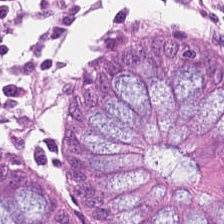224×224 px tile; hematoxylin and eosin — The predominant tissue is normal colonic mucosa.
